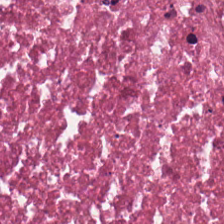Q: What type of tissue is this?
A: It is cellular debris.
